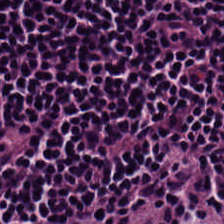H&E. Tissue: lymphocyte aggregate.
